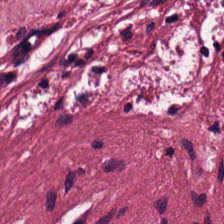H&E-stained tissue section; whole-slide-image patch — Classification — cancer-associated stroma.
